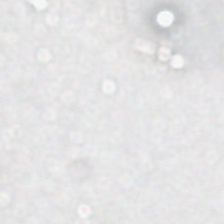H&E stain. Q: What does this patch show?
A: The field shows no tissue.
